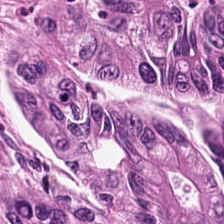H&E.
Showing tumor epithelium.
